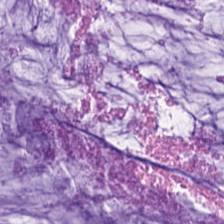H&E stain. Mucin.
